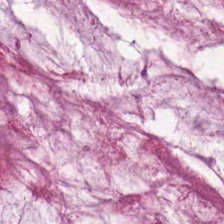0.5 µm per pixel. Hematoxylin and eosin. WSI patch.
This field is extracellular mucin.
